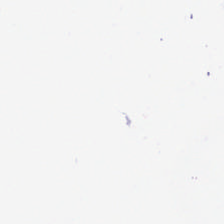No tissue.
